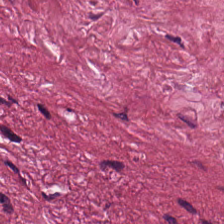WSI patch · H&E stain — Predominantly tumor-associated stroma.
